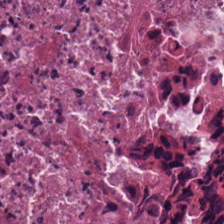224×224 pixel tile. WSI patch. H&E stain — Histology → debris.
